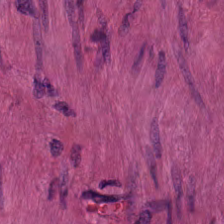20× equivalent magnification · WSI patch · H&E. Tissue type — muscularis.
